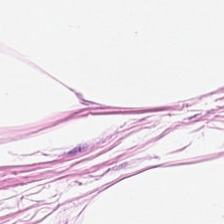H&E stain. Showing adipose.
